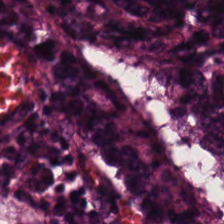H&E stain. The tissue here is malignant epithelium.
